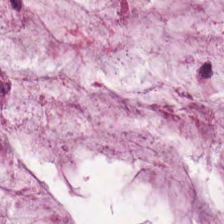Stain: H&E.
Resolution: 0.5 microns per pixel.
Tile size: 224×224 px tile.
Tissue: extracellular mucin.
